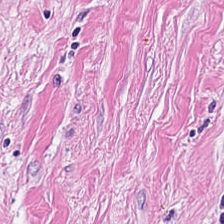H&E; FFPE. Tumor stroma.
